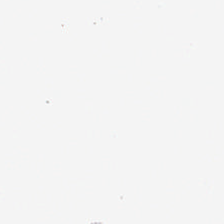This field is background (no tissue).
